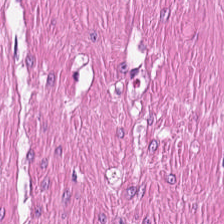Hematoxylin and eosin — {"tissue_type": "smooth-muscle tissue"}
